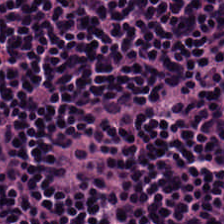Q: What is the predominant tissue type?
A: This is lymphocyte aggregate.
